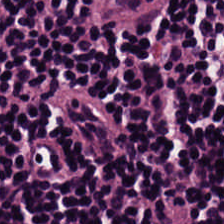H&E-stained tissue section — Tissue type = lymphoid infiltrate.
